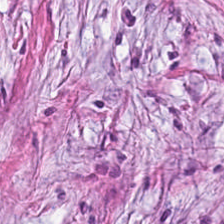0.5 µm/px; H&E stain; FFPE tissue section.
Q: What does this patch show?
A: Desmoplastic stroma.
